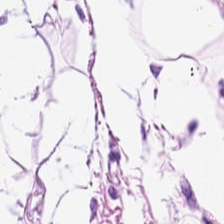Whole-slide-image patch; H&E; FFPE tissue section — The tissue here is adipose.
